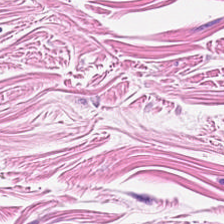FFPE tissue section · H&E-stained tissue section — This field is smooth-muscle tissue.
